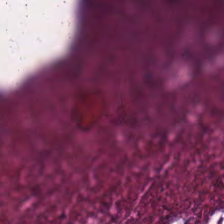Predominant tissue: necrotic debris.
